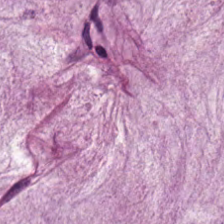Predominantly mucus.
